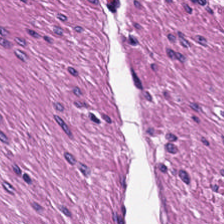H&E-stained tissue section showing smooth muscle.
